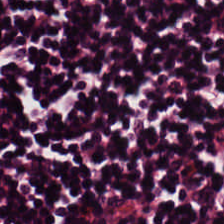Hematoxylin and eosin. The classification is lymphocytes.
